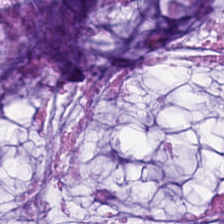H&E — Q: Classify this patch.
A: This is mucus.
